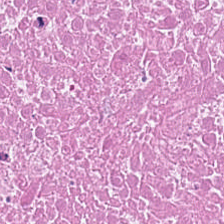Hematoxylin-and-eosin stained section.
The predominant tissue is necrotic debris.
